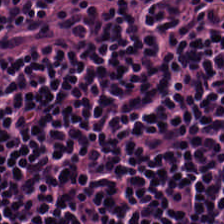H&E-stained tissue section.
Showing lymphocytes.
